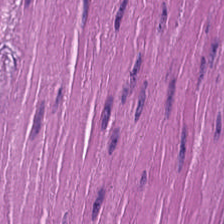FFPE. H&E — Q: What does this patch show?
A: The field shows smooth-muscle tissue.
